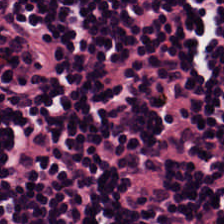H&E-stained tissue section · WSI patch.
This field is lymphoid infiltrate.
